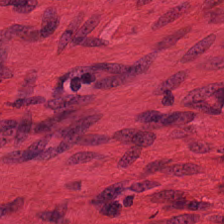Hematoxylin-and-eosin stained section · 20× equivalent magnification — This patch shows muscularis.
